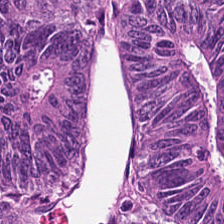Brightfield. H&E stain.
The tissue here is tumor epithelium.
